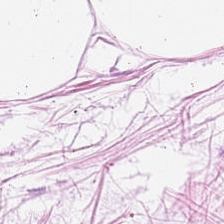H&E-stained tissue section · 0.5 microns per pixel · FFPE. Classification — fat tissue.
